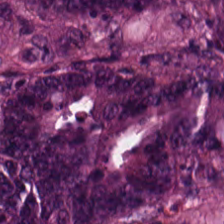Hematoxylin and eosin. This field is colorectal adenocarcinoma.
